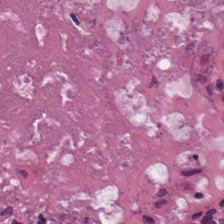Hematoxylin and eosin — Classification = debris.
